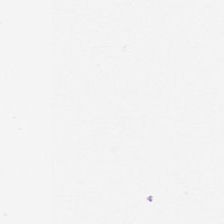FFPE. H&E stain. 224×224 px tile — {"content": "background"}
